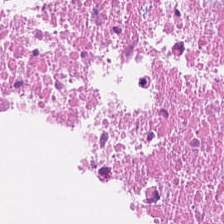H&E stain.
Q: Classify this patch.
A: It is cellular debris.
